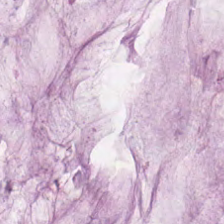Brightfield; 0.5 microns per pixel; H&E-stained tissue section — Finding — mucus.
